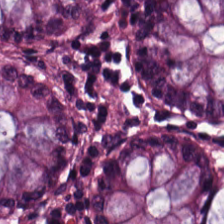Brightfield microscopy · hematoxylin-and-eosin stained section · FFPE tissue section.
Q: Identify the tissue.
A: Normal colonic mucosa.
